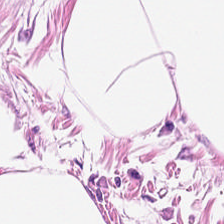Stain: H&E-stained tissue section.
Classification: adipose tissue.
